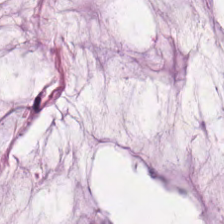H&E-stained tissue section.
This patch shows mucin.
